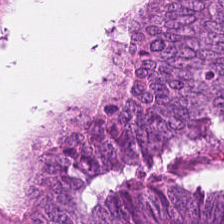H&E-stained tissue section. Q: What tissue is shown?
A: This is tumor epithelium.
